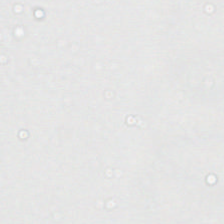0.5 µm per pixel. Hematoxylin-and-eosin stained section — Q: What does this patch show?
A: It is no tissue.
